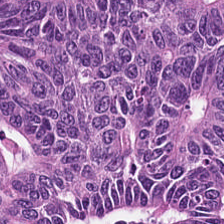Hematoxylin-and-eosin stained section. The tissue here is adenocarcinoma.
